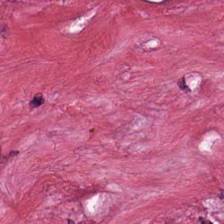Hematoxylin and eosin. 224×224 pixel tile.
Q: Identify the tissue.
A: This is tumor-associated stroma.
